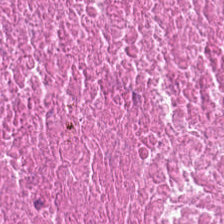Formalin-fixed paraffin-embedded section. H&E-stained tissue section.
Tissue type — necrotic debris.
